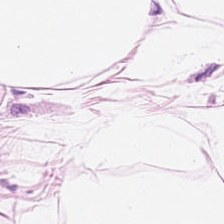H&E-stained tissue section.
The tissue here is adipocytes.
